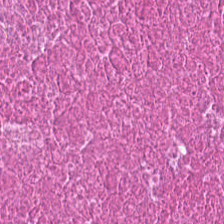Hematoxylin-and-eosin stained section.
The classification is cellular debris.
